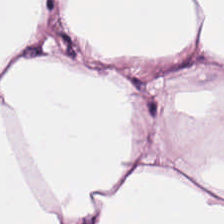Adipose.
